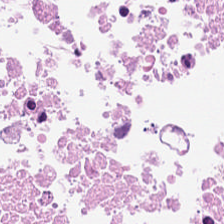Hematoxylin-and-eosin section: cellular debris.
